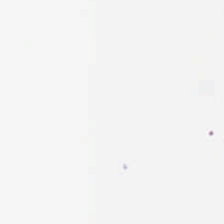Hematoxylin-and-eosin stained section.
Finding → empty background.
